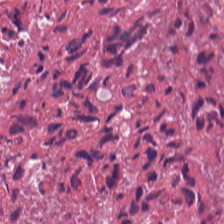H&E-stained tissue section. 224×224 pixel tile — Impression → debris.
